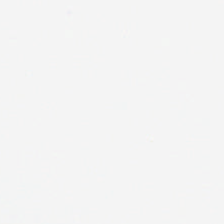H&E-stained tissue section — {"content": "empty background"}
